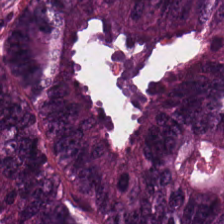Stain: H&E.
Tile size: 224×224 px patch.
Classification: adenocarcinoma.
